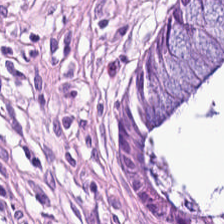Hematoxylin and eosin; 0.5 µm/px. The predominant tissue is normal colonic mucosa.
